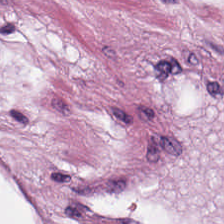H&E-stained tissue section — Q: What does this patch show?
A: Adipose tissue.
